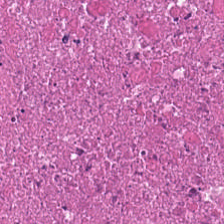The tissue here is necrotic debris.
